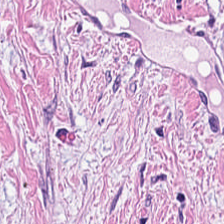H&E; 0.5 microns per pixel.
Classification: desmoplastic stroma.
